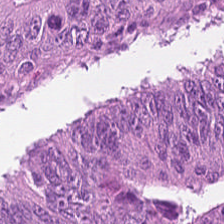H&E · FFPE tissue section. This field is malignant epithelium.
